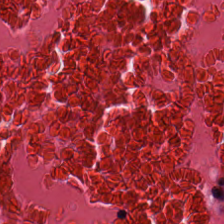H&E.
Impression — cellular debris.
